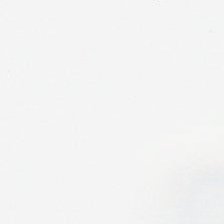Hematoxylin-and-eosin stained section.
Content — no tissue.
